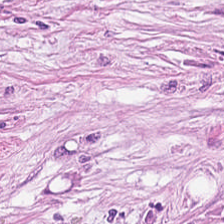H&E-stained tissue section — Predominantly tumor-associated stroma.
